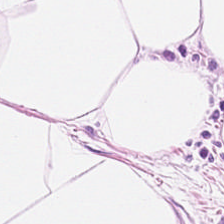H&E stain; brightfield microscopy. Q: Classify this patch.
A: It is adipose tissue.
